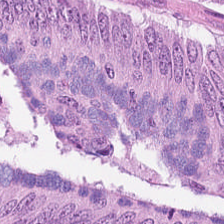H&E stain.
Tissue type — adenocarcinoma.
